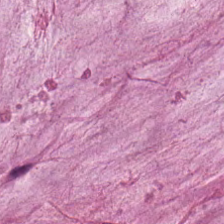Hematoxylin-and-eosin stained section.
Classification = mucus.
